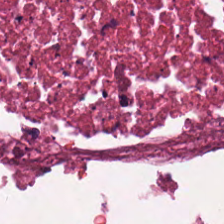Stain: H&E.
Resolution: 0.5 µm/px.
Predominant tissue: cellular debris.
